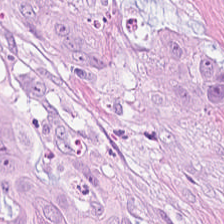Colorectal adenocarcinoma.
